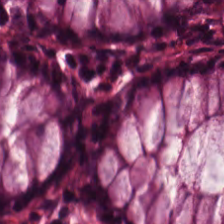H&E stain. Impression → non-neoplastic colon mucosa.
